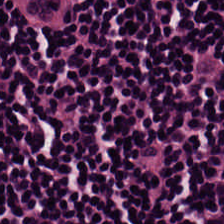224×224 px patch. Hematoxylin and eosin. FFPE — Tissue type: lymphocyte aggregate.
